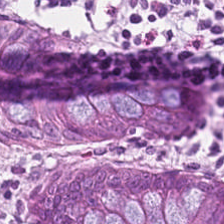FFPE; hematoxylin and eosin; 224×224 pixel tile.
Tissue = non-neoplastic colon mucosa.
